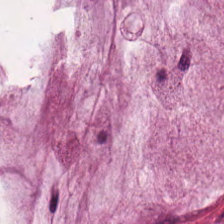H&E-stained tissue section. Showing mucus.
